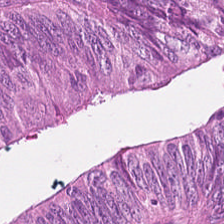Hematoxylin and eosin; FFPE — Malignant epithelium.
